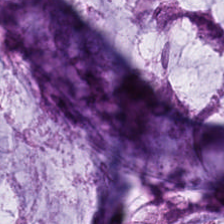Formalin-fixed paraffin-embedded section · H&E stain. This field is mucin.
